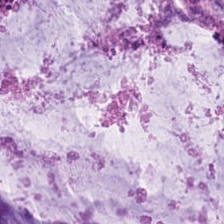Hematoxylin-and-eosin stained section — Extracellular mucin.
